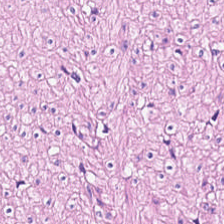Hematoxylin-and-eosin stained section. The tissue class is smooth muscle.
